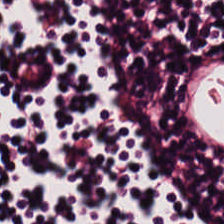Hematoxylin and eosin. Predominantly lymphoid infiltrate.
